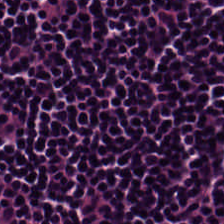Hematoxylin-and-eosin stained section. WSI patch. FFPE — Q: What is shown in this field?
A: Lymphocytes.
